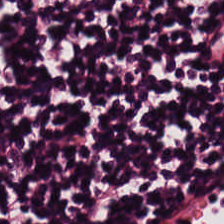FFPE tissue section. H&E — Tissue type — lymphoid infiltrate.
